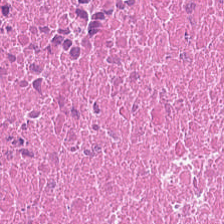Hematoxylin and eosin — Tissue class: debris.
